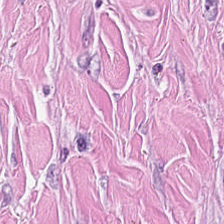Tissue class = cancer-associated stroma.
